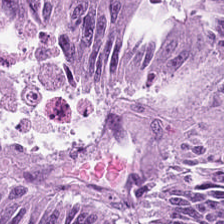Stain: H&E.
Classification: colorectal adenocarcinoma.
